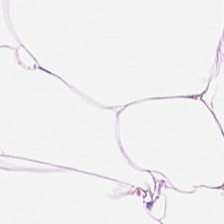H&E stain. Brightfield. 0.5 µm/px — Adipose tissue.
